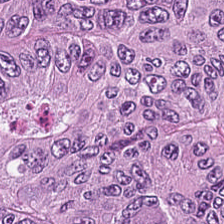H&E stain — Tissue type = adenocarcinoma.
